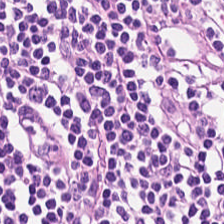H&E — This field is lymphocytes.
